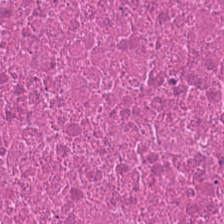Hematoxylin and eosin. Whole-slide-image patch — This field is cellular debris.
